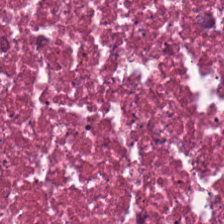H&E-stained tissue section showing debris.
